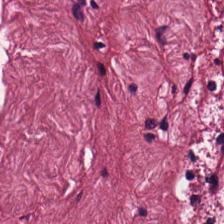H&E; 224×224 px tile.
Q: What is shown in this field?
A: The field shows tumor stroma.
